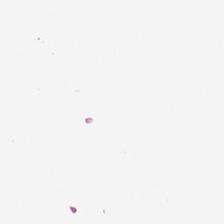H&E. FFPE. Brightfield microscopy. Field content = no tissue.
